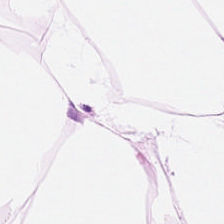224×224 pixel tile; H&E-stained tissue section; brightfield — {"tissue_type": "adipose"}
